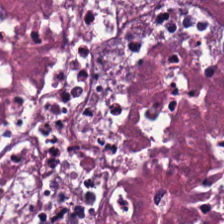224×224 px tile. 20× equivalent magnification. H&E. Tissue type = necrotic debris.
